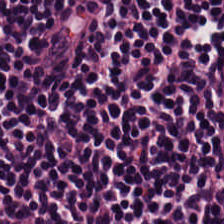H&E-stained tissue section. Impression → lymphocytes.
